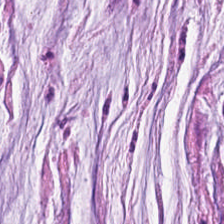H&E stain. 0.5 µm/px. Formalin-fixed paraffin-embedded section. This patch shows mucus.
